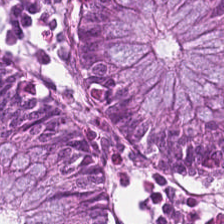Hematoxylin and eosin — Showing benign colonic mucosa.
